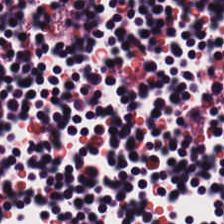H&E — Q: Classify this patch.
A: This is lymphocytic infiltrate.
